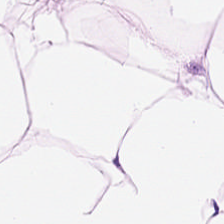H&E stain — {"tissue_type": "adipocytes"}
